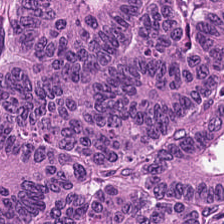Histology — tumor epithelium.
